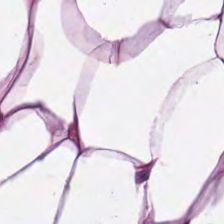Q: What is shown here?
A: This is adipose tissue.
